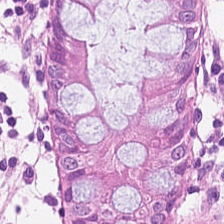Hematoxylin-and-eosin stained section.
The tissue type is normal colonic mucosa.
